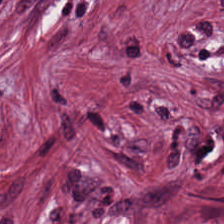H&E stain — Tissue class = cancer-associated stroma.
